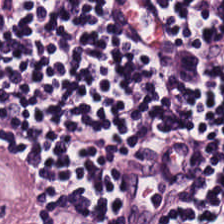Q: What is the predominant tissue type?
A: Lymphocytic infiltrate.
